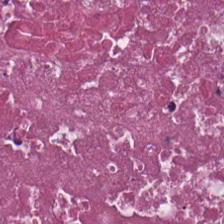WSI patch; H&E — Necrotic debris.
